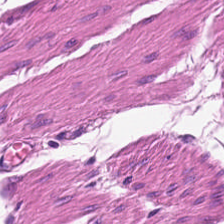This patch shows smooth-muscle tissue.
